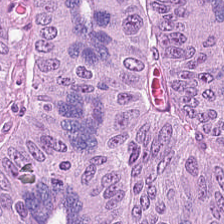H&E stain — Q: What type of tissue is this?
A: This is colorectal adenocarcinoma epithelium.
